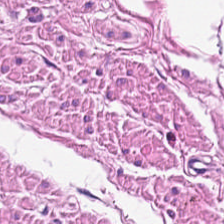Q: Classify this patch.
A: The field shows smooth muscle.
